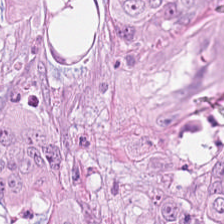H&E — Impression — colorectal adenocarcinoma.
